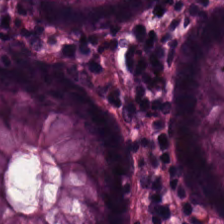0.5 µm per pixel; hematoxylin and eosin; formalin-fixed paraffin-embedded section — This field is benign colonic mucosa.
